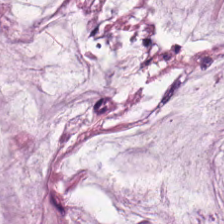Hematoxylin and eosin · FFPE.
Q: Classify this patch.
A: Mucus.
